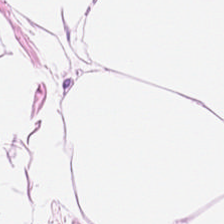The classification is fat tissue.
